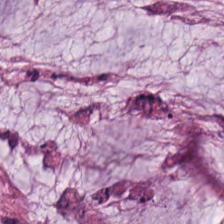224×224 px patch; hematoxylin-and-eosin stained section. Predominant tissue — mucin.
